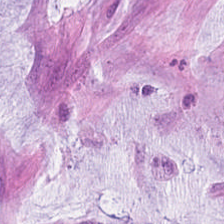Predominantly mucus.
